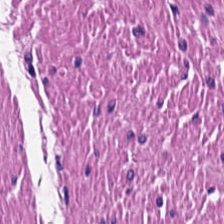Hematoxylin and eosin; formalin-fixed paraffin-embedded section. {"tissue_type": "smooth-muscle tissue"}
